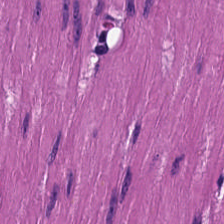Stain: H&E stain.
Preparation: FFPE tissue section.
Tile size: 224×224 px patch.
Classification: smooth muscle.
